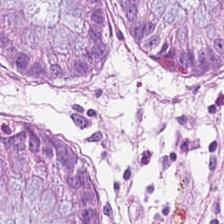H&E stain.
The tissue here is non-neoplastic colon mucosa.
